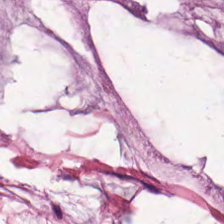Whole-slide-image patch. H&E stain.
{"tissue_type": "mucus"}
